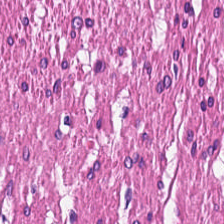H&E-stained tissue section — Classification = muscularis.
